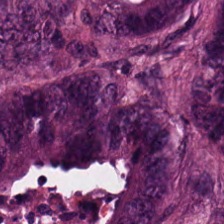H&E — Q: What tissue type is shown here?
A: This is colorectal adenocarcinoma epithelium.
